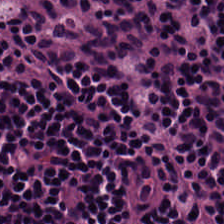Stain: H&E.
Classification: lymphocytic infiltrate.
